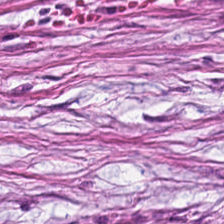H&E stain.
Desmoplastic stroma.
